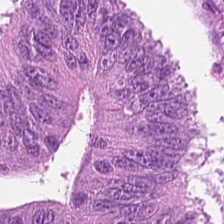H&E stain.
The tissue here is colorectal adenocarcinoma epithelium.
